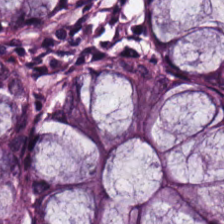Stain: H&E-stained tissue section.
Tissue type: benign colonic mucosa.
